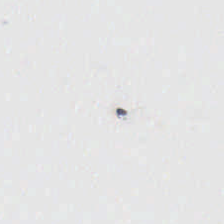H&E. 0.5 µm per pixel. Formalin-fixed paraffin-embedded section. Q: Classify this patch.
A: Background (no tissue).
